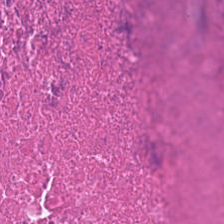H&E stain — Q: Identify the tissue.
A: This is cellular debris.
